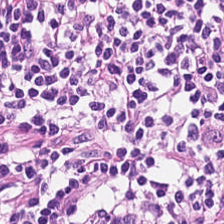H&E stain. The tissue here is lymphocytic infiltrate.
